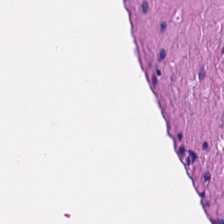H&E stain; FFPE tissue section; 0.5 µm per pixel — Q: What type of tissue is this?
A: This is smooth muscle.
